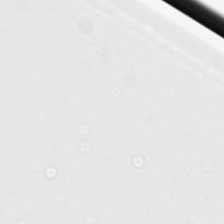Q: Classify this patch.
A: The field shows background.
